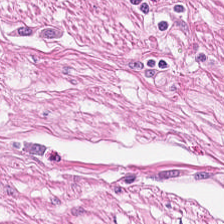Histology → smooth-muscle tissue.
